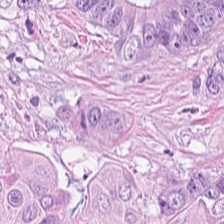FFPE. Hematoxylin-and-eosin stained section. 0.5 µm per pixel. Impression → colorectal adenocarcinoma.
